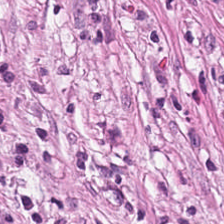Formalin-fixed paraffin-embedded section · H&E-stained tissue section · brightfield — The tissue here is tumor-associated stroma.
